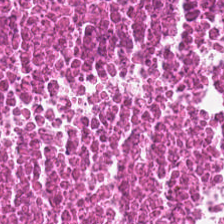224×224 pixel tile. Hematoxylin-and-eosin stained section. This field is necrotic debris.
